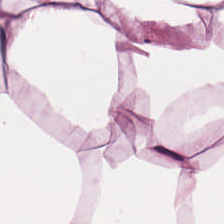Histology → adipose.
